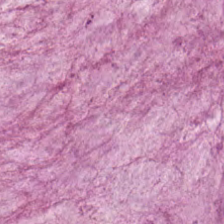H&E stain.
This patch shows mucin.
